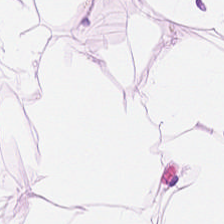H&E. 20× equivalent magnification — Tissue type: adipose.
